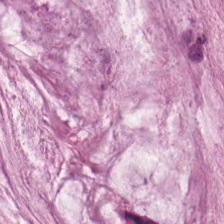0.5 µm/px; hematoxylin-and-eosin stained section. Q: What tissue type is shown here?
A: This is mucin.
